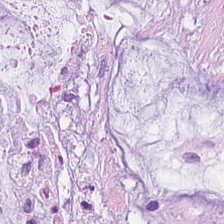Stain: hematoxylin-and-eosin stained section.
Tissue class: mucin.
